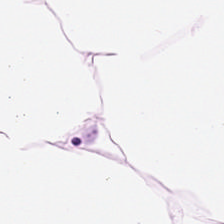Tissue type — fat tissue.
